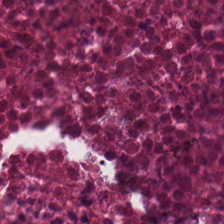H&E-stained tissue section · whole-slide-image patch. Predominantly cellular debris.
